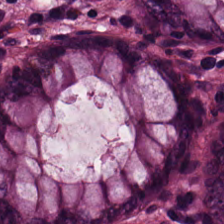Tissue type = benign colonic mucosa.
